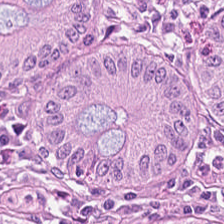Stain: hematoxylin-and-eosin stained section.
Tissue class: normal colonic mucosa.
